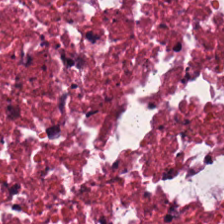Hematoxylin-and-eosin stained section. Debris.
